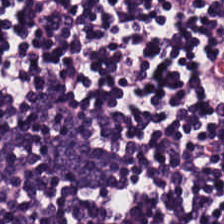Formalin-fixed paraffin-embedded section; hematoxylin-and-eosin stained section. Lymphoid infiltrate.
